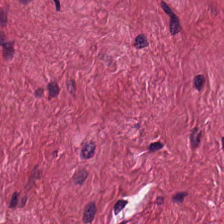Stain: H&E-stained tissue section.
Predominant tissue: tumor stroma.
